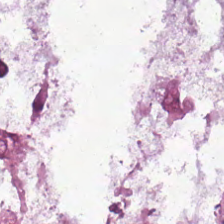Stain: H&E stain.
Tissue class: extracellular mucin.
